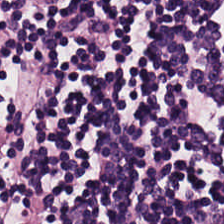0.5 µm per pixel. Brightfield microscopy. Hematoxylin-and-eosin stained section.
Tissue type = lymphocytes.
